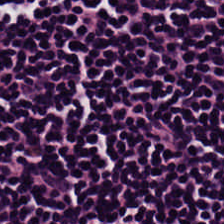H&E stain. This field is lymphoid infiltrate.
